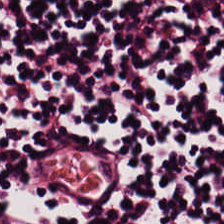H&E patch showing lymphocytes.
